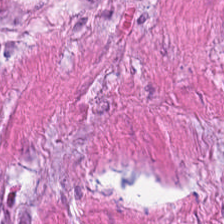224×224 pixel tile · hematoxylin and eosin — This patch shows muscularis.
